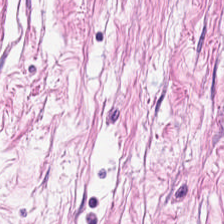H&E-stained tissue section. This field is cancer-associated stroma.
